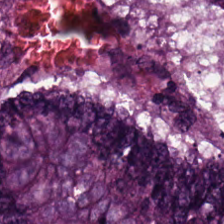H&E-stained tissue section — Showing adenocarcinoma.
